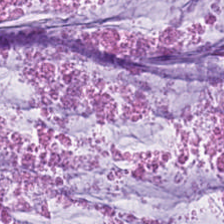Hematoxylin-and-eosin stained section. Finding → extracellular mucin.
